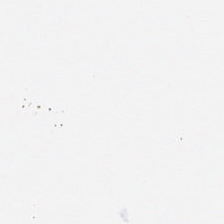H&E-stained tissue section; 224×224 px patch. Background — no tissue in this field.
